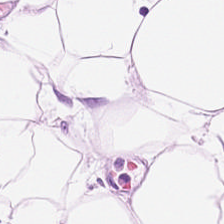H&E-stained tissue section — Impression → adipose.
